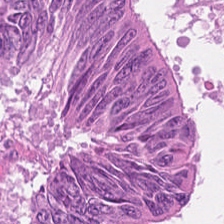Stain: H&E stain.
Classification: colorectal adenocarcinoma epithelium.
